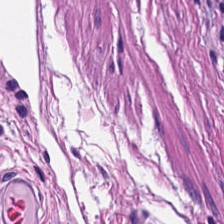Hematoxylin-and-eosin stained section. Finding — smooth muscle.
